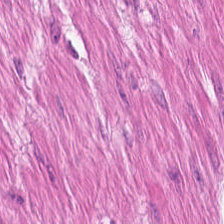Stain: hematoxylin and eosin.
Tissue class: smooth-muscle tissue.
